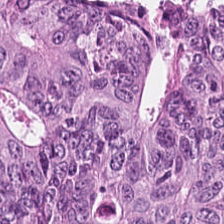H&E-stained tissue section — Predominantly adenocarcinoma.
